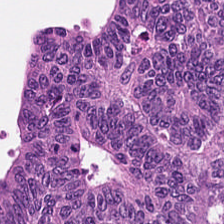Stain: H&E.
Acquisition: brightfield.
Tissue type: adenocarcinoma.
